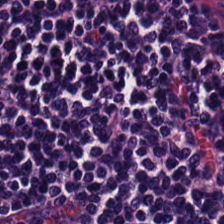H&E stain — Predominantly lymphocytes.
